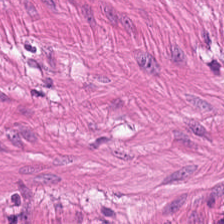Q: Identify the tissue.
A: It is smooth-muscle tissue.
